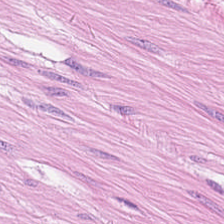FFPE tissue section. H&E-stained tissue section.
The tissue here is smooth muscle.
